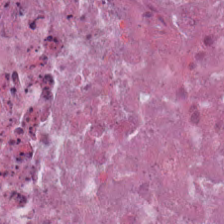This field is cellular debris.
